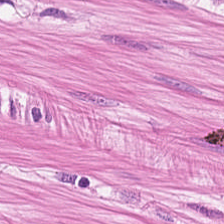Hematoxylin-and-eosin stained section. FFPE tissue section. {"tissue_type": "muscularis"}
